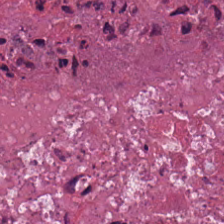Classification = necrotic debris.
